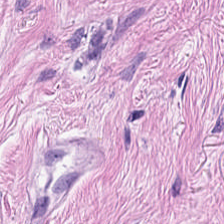H&E stain — Predominant tissue — tumor stroma.
